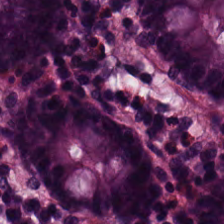Hematoxylin and eosin — The classification is non-neoplastic colon mucosa.
